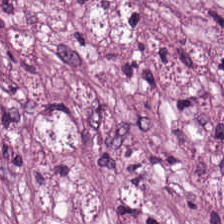FFPE · hematoxylin and eosin. Q: What is shown here?
A: It is tumor stroma.
